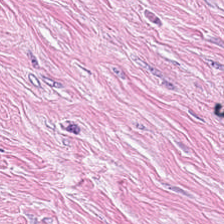Stain: H&E stain.
Tissue type: tumor stroma.
